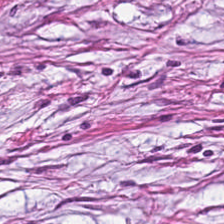224×224 px patch. Hematoxylin and eosin — Q: What tissue is shown?
A: The field shows desmoplastic stroma.
